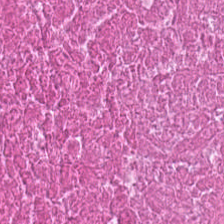Stain: H&E.
Tissue class: necrotic debris.
